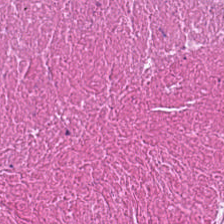224×224 px tile. H&E. The predominant tissue is cellular debris.
